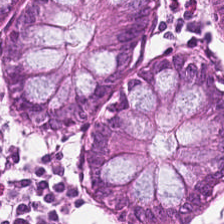H&E. Predominantly non-neoplastic colon mucosa.
